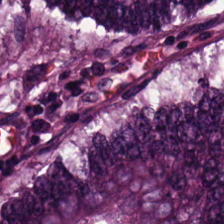Classification — colorectal adenocarcinoma.
